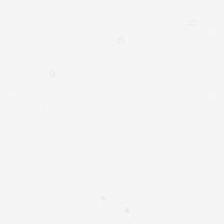Formalin-fixed paraffin-embedded section; hematoxylin-and-eosin stained section — Histology → background.
